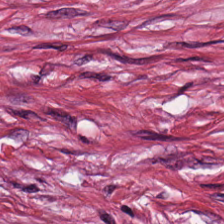H&E.
Showing tumor-associated stroma.
